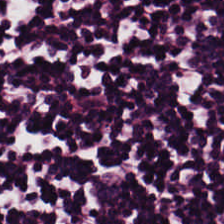Hematoxylin and eosin — Predominantly lymphocyte aggregate.
